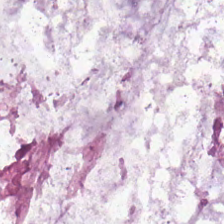FFPE tissue section · H&E.
Q: Identify the tissue.
A: This is extracellular mucin.
